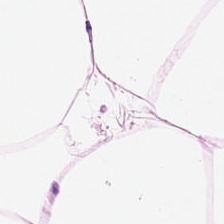Predominant tissue — adipose tissue.
